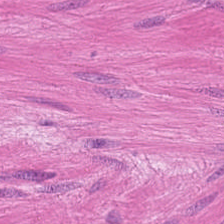H&E · brightfield. This field is muscularis.
